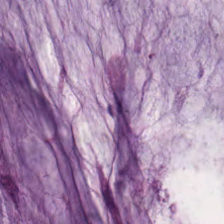Impression — mucin.
